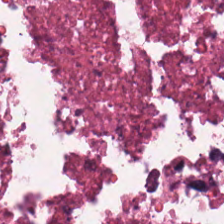H&E. The predominant tissue is necrotic debris.
